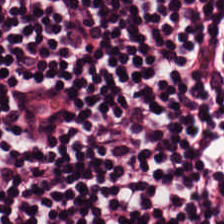Stain: H&E.
Acquisition: whole-slide-image patch.
Tissue class: lymphoid infiltrate.
